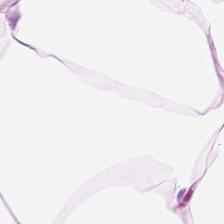Impression → fat tissue.
